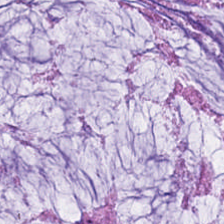H&E-stained tissue section. WSI patch — Q: Identify the tissue.
A: Mucus.
